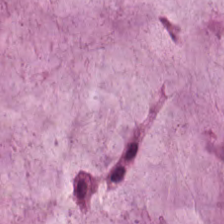Hematoxylin and eosin · 224×224 pixel tile — Finding → mucus.
